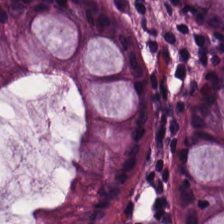Stain: H&E.
Acquisition: whole-slide-image patch.
Tissue: normal colonic mucosa.
